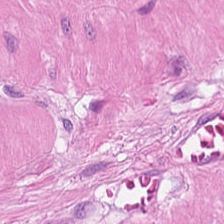Showing muscularis.
